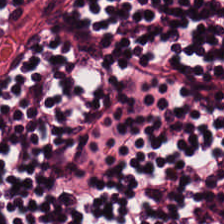Hematoxylin and eosin.
The predominant tissue is lymphoid infiltrate.
